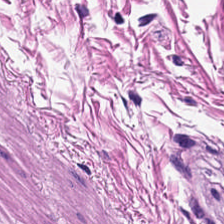Tissue: muscularis.
